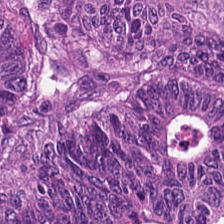H&E-stained section; the field shows malignant epithelium.
